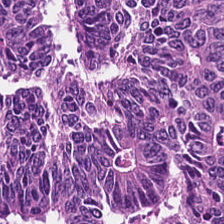Hematoxylin and eosin; brightfield microscopy — Tissue class = tumor epithelium.
